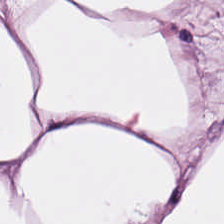Stain: hematoxylin and eosin.
Tissue class: adipose.
